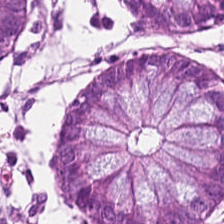H&E stain.
Classification = benign colonic mucosa.
